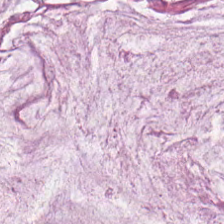H&E stain.
Mucus.
